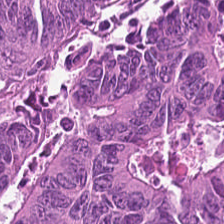0.5 µm/px. Hematoxylin and eosin.
Impression → colorectal adenocarcinoma epithelium.
